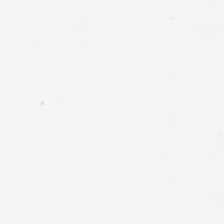Hematoxylin and eosin — Classification — empty background.
